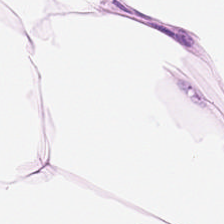H&E stain. 20× equivalent magnification — Showing adipose.
